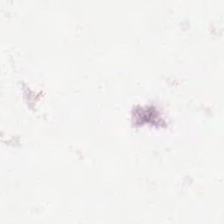Hematoxylin-and-eosin stained section; 224×224 pixel tile; brightfield.
This field is background (no tissue).
